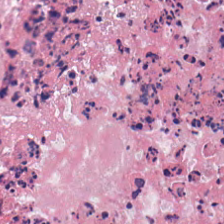Q: What does this patch show?
A: The field shows necrotic debris.
